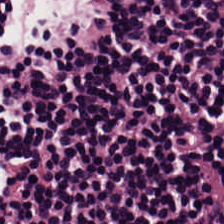Stain: H&E.
Tissue type: lymphocytic infiltrate.
